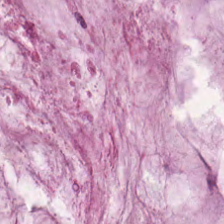Stain: H&E stain.
Tissue: extracellular mucin.
